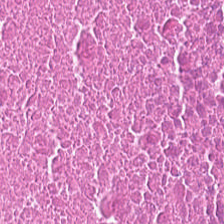Hematoxylin and eosin. 224×224 px tile.
The tissue here is debris.
